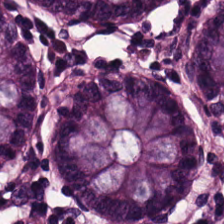Tissue type = benign colonic mucosa.
